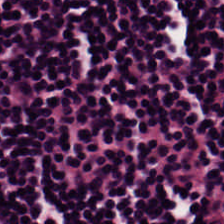H&E-stained tissue section. Histology — lymphocytic infiltrate.
